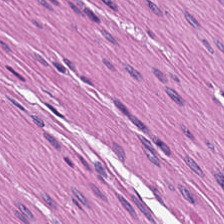20× equivalent magnification. Hematoxylin and eosin. FFPE tissue section.
Showing smooth-muscle tissue.
